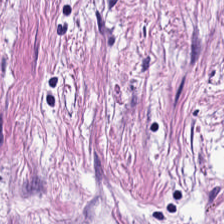FFPE · hematoxylin and eosin. Tumor-associated stroma.
